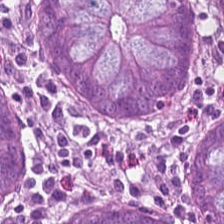H&E-stained tissue section. The predominant tissue is normal colon mucosa.
